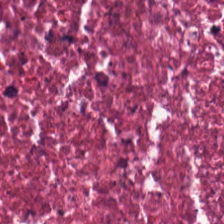20× equivalent magnification · 224×224 px patch · hematoxylin-and-eosin stained section. The predominant tissue is debris.
